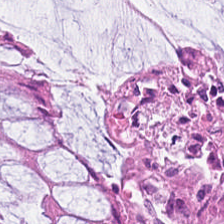WSI patch · H&E stain · 20× equivalent magnification.
Showing normal colonic mucosa.
